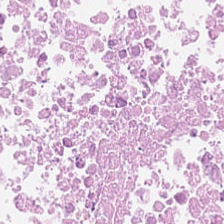Stain: H&E stain.
Tissue type: necrotic debris.
